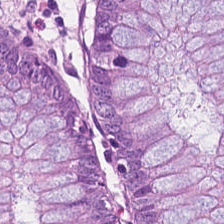Hematoxylin-and-eosin stained section. 0.5 µm/px. Benign colonic mucosa.
